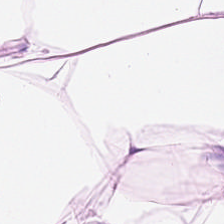Hematoxylin-and-eosin section: fat tissue.
